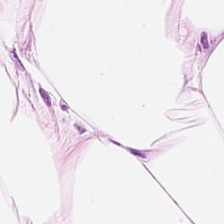H&E patch showing adipose.
